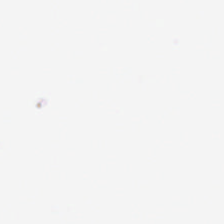H&E stain.
Empty field — background (no tissue).
